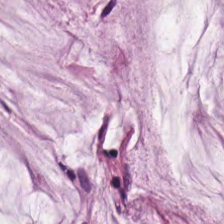Hematoxylin-and-eosin stained section — The tissue type is mucus.
